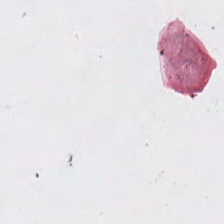Hematoxylin-and-eosin stained section · brightfield.
Q: What is shown here?
A: The field shows no tissue.
